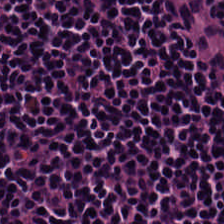224×224 px patch · hematoxylin and eosin.
Finding → lymphocyte aggregate.
